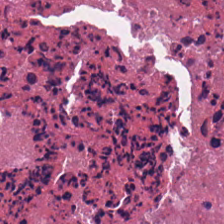0.5 microns per pixel; 224×224 px tile; H&E — Histology → necrotic debris.
